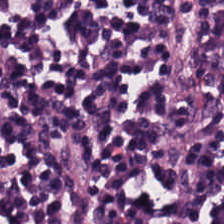Impression — lymphocyte aggregate.
